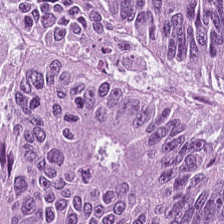Brightfield. H&E stain.
Tissue class: colorectal adenocarcinoma epithelium.
